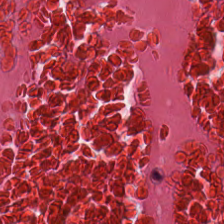H&E-stained tissue section. The predominant tissue is cellular debris.
